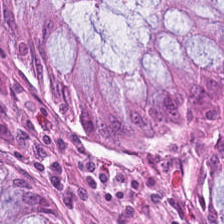Stain: hematoxylin and eosin.
Preparation: FFPE.
Tissue class: benign colonic mucosa.
